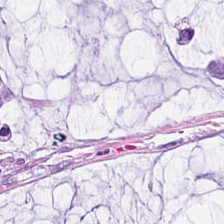0.5 µm/px; hematoxylin-and-eosin stained section.
Impression — mucin.
